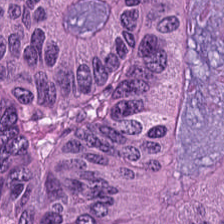Brightfield microscopy. H&E-stained tissue section. FFPE.
This field is adenocarcinoma.
